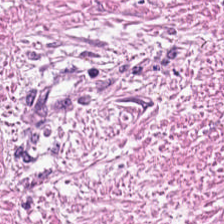Predominantly desmoplastic stroma.
